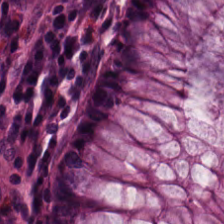Stain: H&E-stained tissue section.
Tissue class: non-neoplastic colon mucosa.
